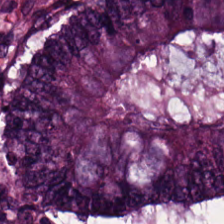Q: Identify the tissue.
A: This is colorectal adenocarcinoma.
